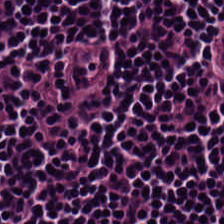Stain: H&E-stained tissue section.
Classification: lymphoid infiltrate.
